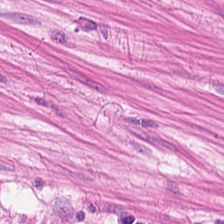FFPE; hematoxylin and eosin; 224×224 px patch — Finding — smooth muscle.
